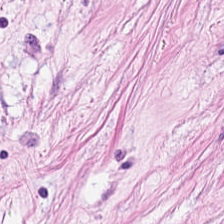0.5 microns per pixel · hematoxylin and eosin · 224×224 px tile.
Showing desmoplastic stroma.
